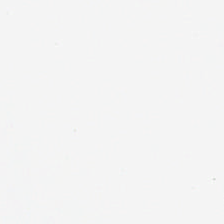Q: What is shown here?
A: The field shows empty background.
